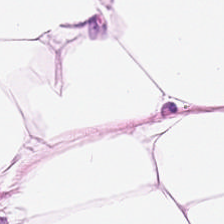Tissue class — adipose.
